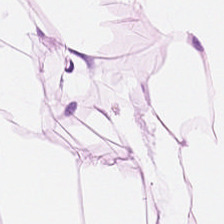Q: What is shown here?
A: Adipocytes.
